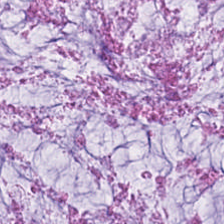Impression — mucus.
